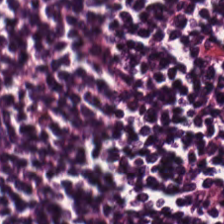Classification = lymphocytic infiltrate.
